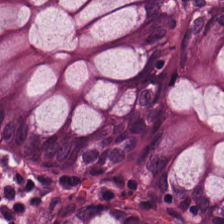H&E-stained section; the field shows normal colonic mucosa.
